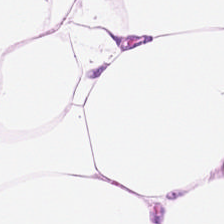H&E; brightfield. Tissue — fat tissue.
